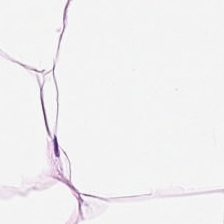Q: Identify the tissue.
A: It is adipocytes.
